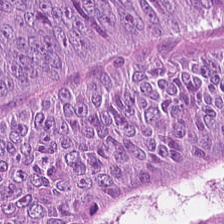{"tissue_type": "adenocarcinoma"}
